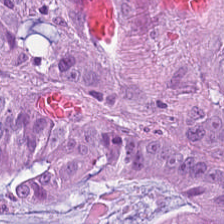H&E stain. 224×224 px tile — Histology — malignant epithelium.
